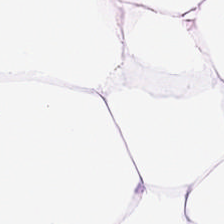Histology → adipose.
